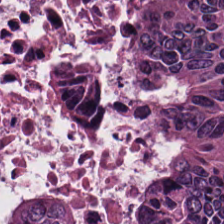H&E.
Tissue class: malignant epithelium.
